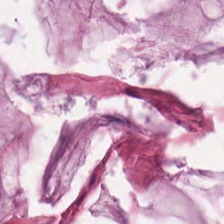Formalin-fixed paraffin-embedded section · 224×224 pixel tile · hematoxylin and eosin. Tissue class: extracellular mucin.
